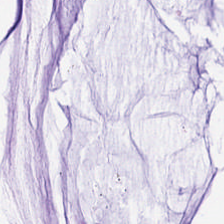Classification = extracellular mucin.
